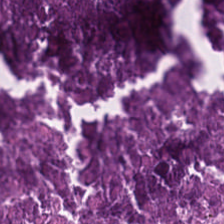20× equivalent magnification. FFPE. Hematoxylin and eosin. This patch shows debris.
